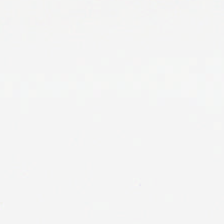Hematoxylin-and-eosin stained section; FFPE tissue section. This patch shows no tissue.
